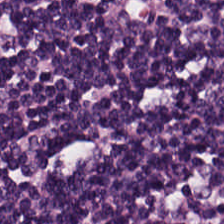Hematoxylin and eosin; 0.5 µm/px; FFPE — Q: What tissue type is shown here?
A: It is lymphocytes.
